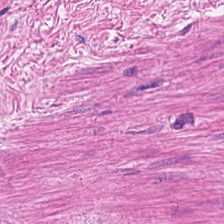H&E · FFPE.
Impression — muscularis.
